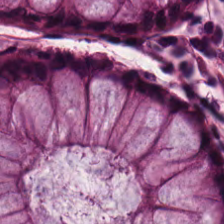H&E patch showing non-neoplastic colon mucosa.
